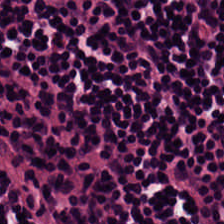H&E — lymphocyte aggregate.
